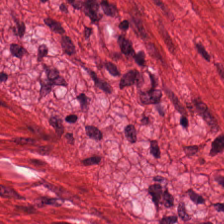{"tissue_type": "smooth-muscle tissue"}
